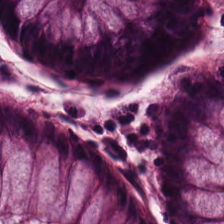Hematoxylin and eosin. The predominant tissue is non-neoplastic colon mucosa.
